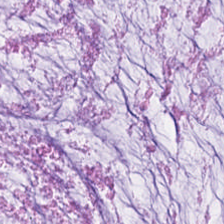The classification is extracellular mucin.
